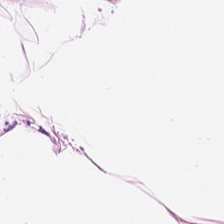Hematoxylin-and-eosin stained section — {"tissue_type": "adipose tissue"}
